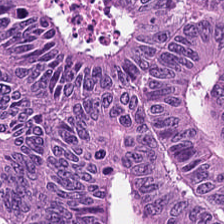H&E-stained section; the field shows tumor epithelium.
